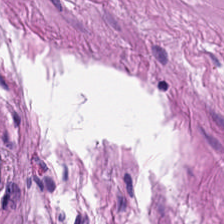Finding — smooth muscle.
